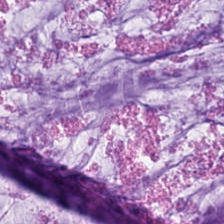H&E.
Impression → extracellular mucin.
